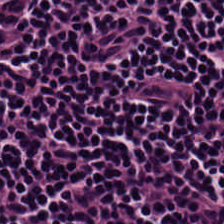Hematoxylin and eosin — {"tissue_type": "lymphocytes"}
